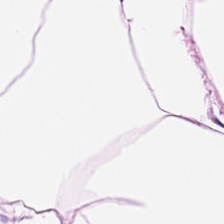Hematoxylin and eosin; 20× equivalent magnification; 224×224 px tile. This patch shows adipocytes.
